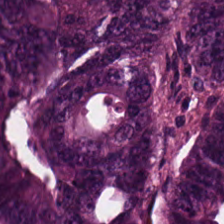H&E patch showing colorectal adenocarcinoma.
